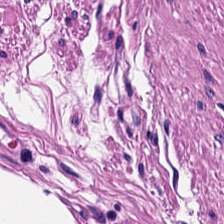Predominant tissue: smooth-muscle tissue.
